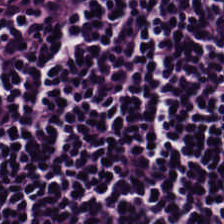Whole-slide-image patch. H&E — The predominant tissue is lymphocytes.
